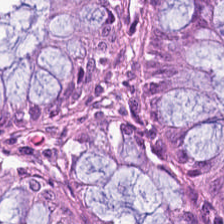Hematoxylin-and-eosin stained section. The tissue class is normal colon mucosa.
